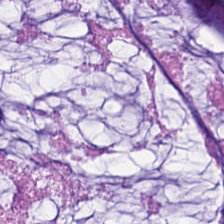H&E-stained tissue section — {"tissue_type": "extracellular mucin"}
